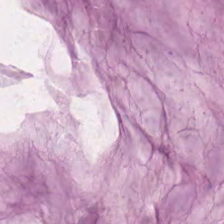Stain: hematoxylin-and-eosin stained section.
Tile size: 224×224 pixel tile.
Tissue class: mucus.
